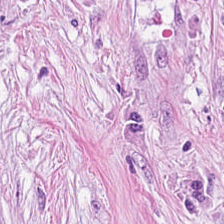Stain: H&E-stained tissue section.
Tissue class: desmoplastic stroma.
